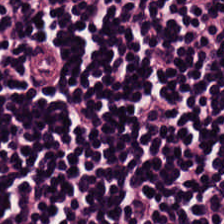Histology → lymphocytic infiltrate.
